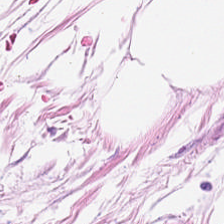Brightfield; 0.5 microns per pixel; hematoxylin and eosin.
Tissue class — adipocytes.
